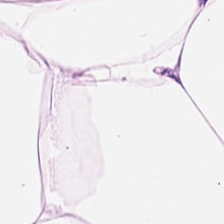Hematoxylin-and-eosin stained section. Whole-slide-image patch — Q: What does this patch show?
A: The field shows adipose tissue.
